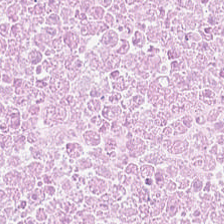FFPE tissue section. H&E. The tissue type is debris.
